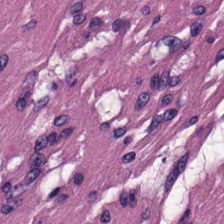224×224 px patch · H&E — Histology → smooth muscle.
